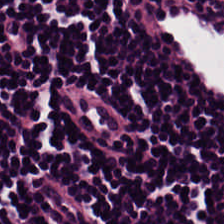Hematoxylin-and-eosin stained section.
Histology — lymphocytic infiltrate.
